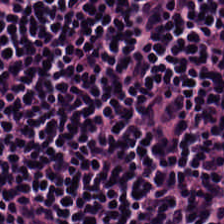H&E stain · WSI patch.
Q: What is the predominant tissue type?
A: It is lymphoid infiltrate.
